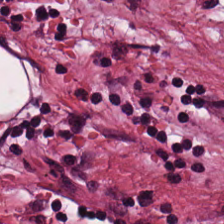H&E; 0.5 µm per pixel.
The predominant tissue is tumor stroma.
